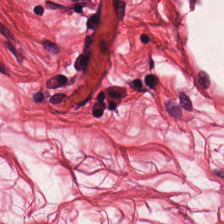Hematoxylin and eosin.
Impression — muscularis.
